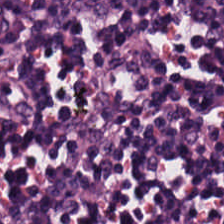The predominant tissue is lymphocyte aggregate.
